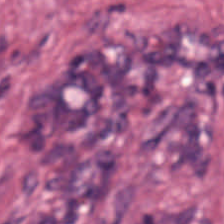The tissue here is tumor stroma.
